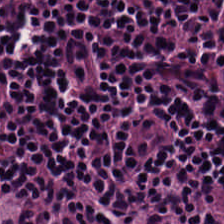This field is lymphoid infiltrate.
